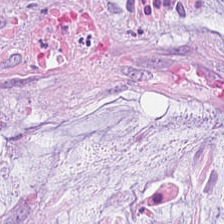Showing extracellular mucin.
